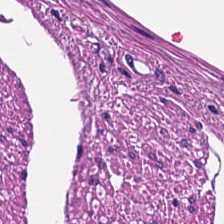Stain: H&E.
Tissue class: smooth muscle.
